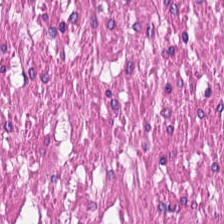Hematoxylin and eosin. Whole-slide-image patch. 0.5 µm per pixel — Q: Identify the tissue.
A: The field shows smooth muscle.
